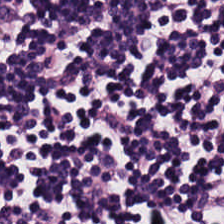Hematoxylin and eosin.
Impression → lymphocyte aggregate.
